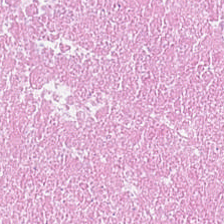Stain: H&E.
Tissue: cellular debris.
